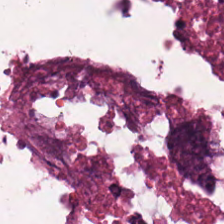Brightfield · hematoxylin and eosin · FFPE tissue section. The predominant tissue is cellular debris.
